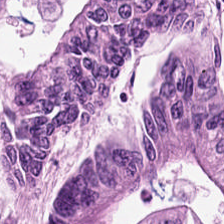Hematoxylin and eosin; 0.5 µm per pixel.
The tissue here is colorectal adenocarcinoma.
